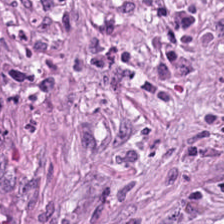Hematoxylin-and-eosin stained section. 0.5 µm/px.
The tissue class is tumor-associated stroma.
